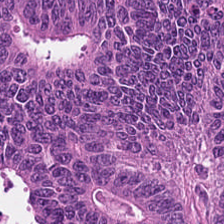FFPE; H&E-stained tissue section. Predominantly colorectal adenocarcinoma.
